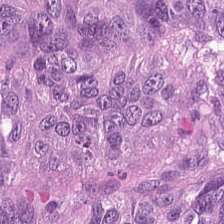224×224 pixel tile · H&E.
The predominant tissue is malignant epithelium.
